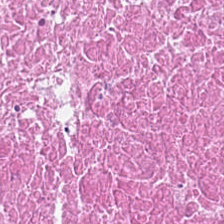Brightfield. Hematoxylin-and-eosin stained section — Impression — necrotic debris.
